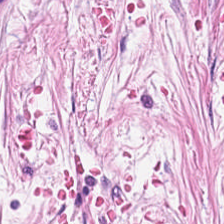H&E-stained tissue section · 224×224 px patch.
Predominantly desmoplastic stroma.
